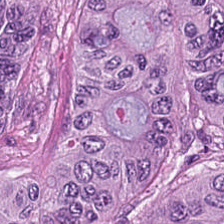0.5 µm/px · hematoxylin and eosin — This field is malignant epithelium.
